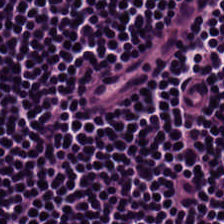H&E · brightfield.
Q: Classify this patch.
A: It is lymphocyte aggregate.
